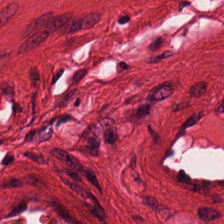Hematoxylin and eosin; FFPE.
Tissue class: smooth muscle.
